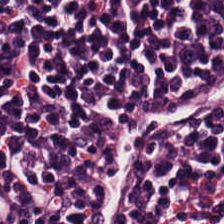Finding → lymphocytes.
